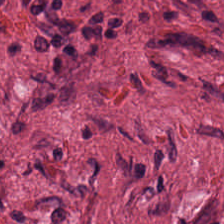224×224 px patch; H&E; formalin-fixed paraffin-embedded section.
Tissue class: cancer-associated stroma.
